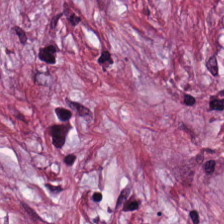WSI patch; H&E-stained tissue section.
Classification = tumor-associated stroma.
